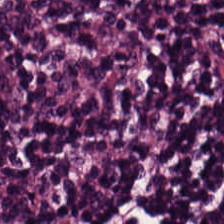Classification — lymphocyte aggregate.
